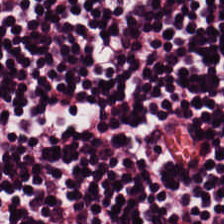H&E.
Impression → lymphocyte aggregate.
